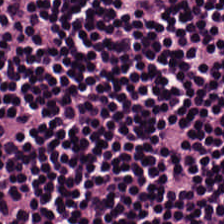Hematoxylin and eosin. Impression → lymphoid infiltrate.
